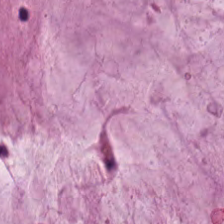Stain: H&E.
Classification: mucus.
